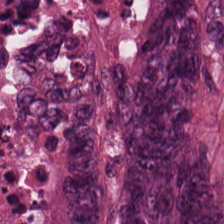Brightfield; 224×224 px patch; hematoxylin and eosin. Predominantly tumor epithelium.
